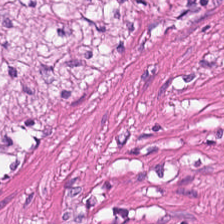Stain: hematoxylin-and-eosin stained section.
Tissue type: smooth muscle.
